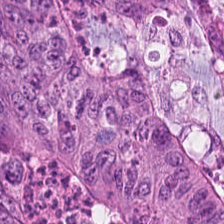Hematoxylin and eosin; 20× equivalent magnification. Finding — tumor epithelium.
